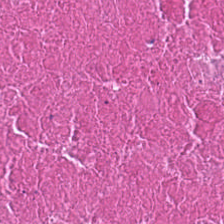Stain: H&E-stained tissue section.
Tissue: cellular debris.
